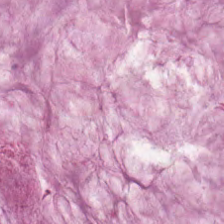H&E-stained tissue section; 224×224 pixel tile; formalin-fixed paraffin-embedded section.
The predominant tissue is extracellular mucin.
